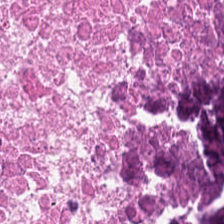H&E · brightfield microscopy — Tissue — necrotic debris.
